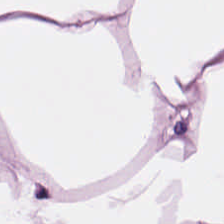Stain: hematoxylin and eosin.
Tissue: adipocytes.
